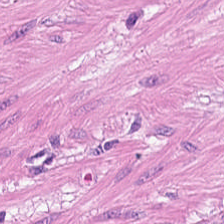H&E-stained tissue section.
Tissue class = smooth-muscle tissue.
